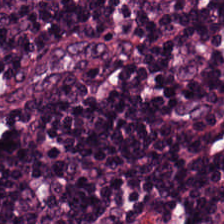H&E-stained tissue section — Q: What is the predominant tissue type?
A: Lymphocyte aggregate.
